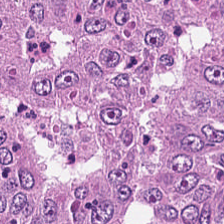Finding → tumor epithelium.
